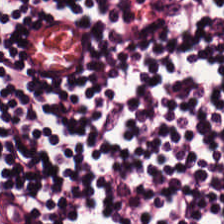Stain: hematoxylin-and-eosin stained section.
Tissue type: lymphocytic infiltrate.
